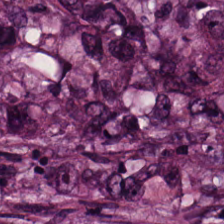0.5 microns per pixel. Whole-slide-image patch. H&E stain — Tissue — adenocarcinoma.
